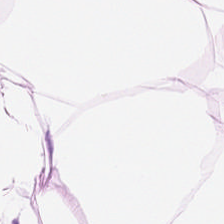H&E — Classification — adipose tissue.
